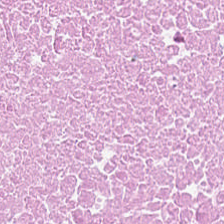The tissue here is debris.
